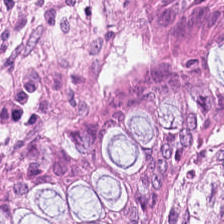The predominant tissue is non-neoplastic colon mucosa.
